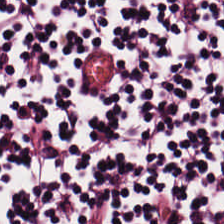224×224 pixel tile. FFPE tissue section. Hematoxylin and eosin.
This field is lymphocytic infiltrate.
